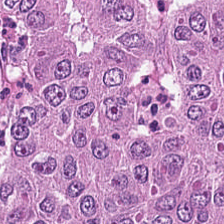Adenocarcinoma.
